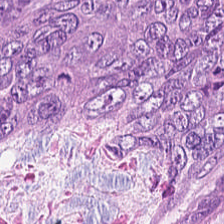0.5 µm per pixel; FFPE; hematoxylin-and-eosin stained section.
Showing adenocarcinoma.
